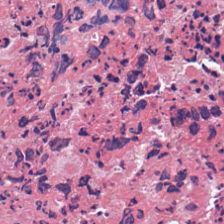Brightfield; hematoxylin and eosin; 20× equivalent magnification — This patch shows necrotic debris.
